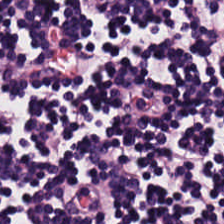H&E-stained tissue section.
Q: What type of tissue is this?
A: The field shows lymphocytes.
